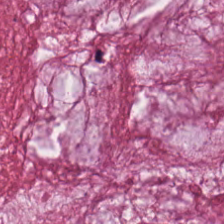H&E-stained tissue section — Q: What type of tissue is this?
A: It is extracellular mucin.
